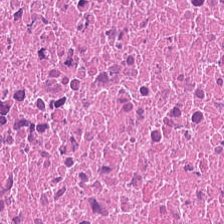Tissue: debris.
